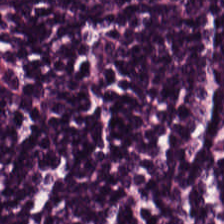Hematoxylin-and-eosin stained section. Q: What is shown in this field?
A: This is lymphocytes.
